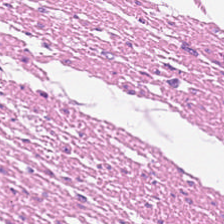H&E-stained tissue section. This patch shows muscularis.
